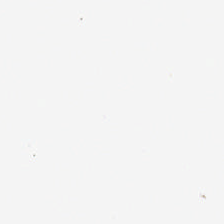Hematoxylin and eosin. Brightfield. Empty background.
